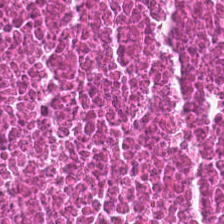H&E stain. FFPE. Tissue — cellular debris.
